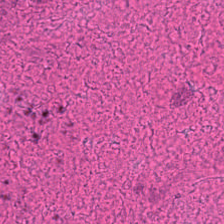H&E-stained tissue section; 0.5 µm/px; formalin-fixed paraffin-embedded section.
Tissue: necrotic debris.
